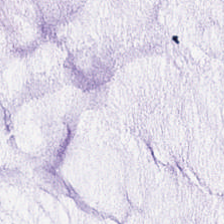H&E-stained section; the field shows mucus.
